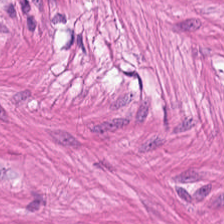H&E · whole-slide-image patch · 224×224 px patch — This field is smooth muscle.
